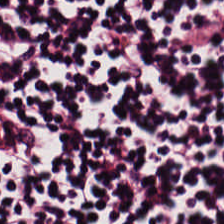H&E-stained tissue section. FFPE tissue section. 224×224 px tile.
The predominant tissue is lymphocytes.
